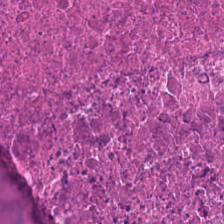H&E. The predominant tissue is necrotic debris.
